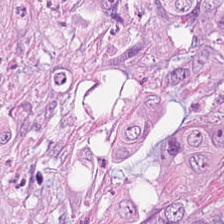H&E — The tissue here is malignant epithelium.
